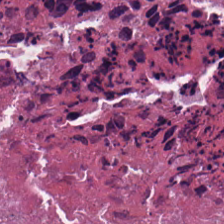Brightfield microscopy · FFPE tissue section · hematoxylin-and-eosin stained section.
Q: What is the predominant tissue type?
A: The field shows cellular debris.
